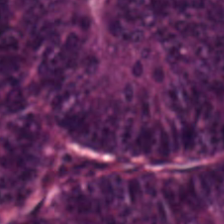224×224 px tile; 0.5 µm/px; hematoxylin and eosin.
Q: What tissue type is shown here?
A: It is colorectal adenocarcinoma epithelium.
